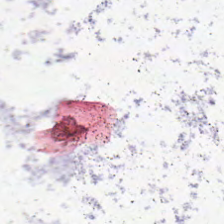Stain: H&E stain.
Resolution: 0.5 microns per pixel.
Field content: background.
